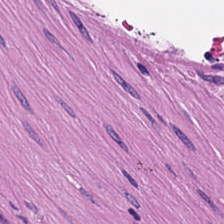Hematoxylin and eosin — This patch shows smooth muscle.
